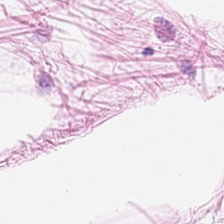Hematoxylin-and-eosin stained section; 224×224 pixel tile — The tissue class is adipocytes.
